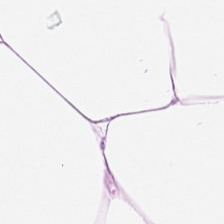Hematoxylin and eosin. Predominantly adipose.
